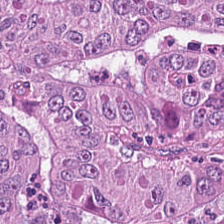Stain: H&E-stained tissue section.
Acquisition: brightfield microscopy.
Predominant tissue: adenocarcinoma.
